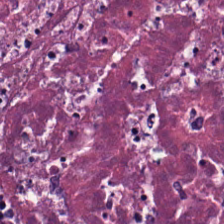Hematoxylin and eosin.
This field is cellular debris.
